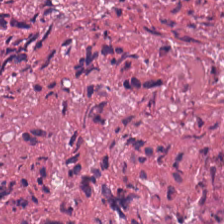The tissue here is necrotic debris.
